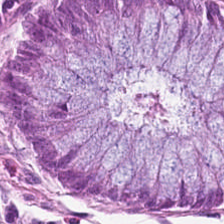224×224 px patch. H&E-stained tissue section.
The tissue here is non-neoplastic colon mucosa.
